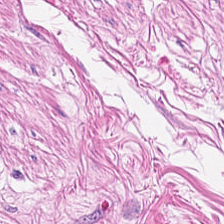Stain: hematoxylin and eosin.
Predominant tissue: muscularis.
